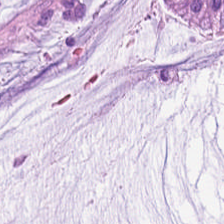Impression — mucin.
